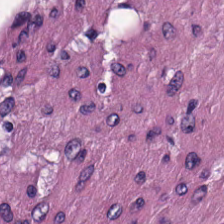H&E-stained tissue section. Predominantly smooth muscle.
